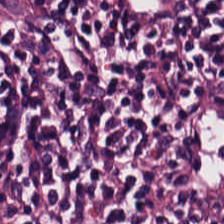FFPE · H&E stain. Finding — lymphocytes.
